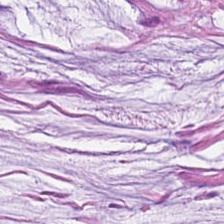H&E stain. Predominantly mucus.
